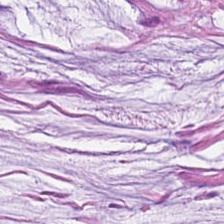H&E stain. Predominantly mucus.
